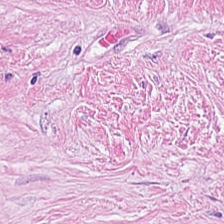Hematoxylin and eosin — Classification = cancer-associated stroma.
